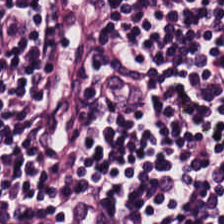The tissue here is lymphocyte aggregate.
